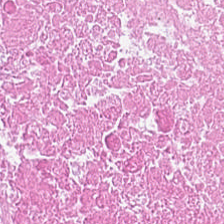Tissue — necrotic debris.
